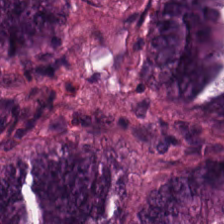Formalin-fixed paraffin-embedded section; hematoxylin-and-eosin stained section — Predominantly adenocarcinoma.
